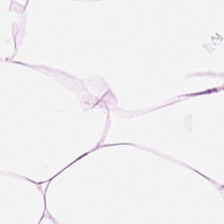H&E — Adipose tissue.
